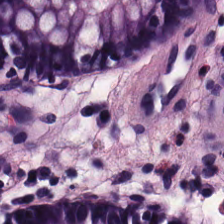H&E · brightfield — Q: What is the predominant tissue type?
A: Benign colonic mucosa.
